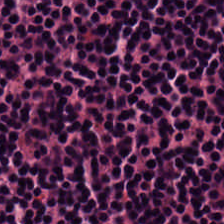Showing lymphocytes.
